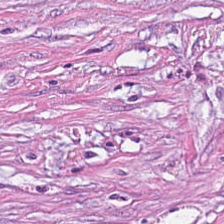Q: Identify the tissue.
A: It is desmoplastic stroma.
